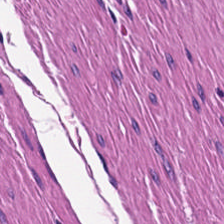H&E.
Smooth muscle.
